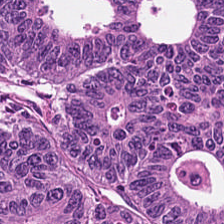224×224 px tile. 0.5 microns per pixel. H&E stain. {"tissue_type": "colorectal adenocarcinoma epithelium"}
